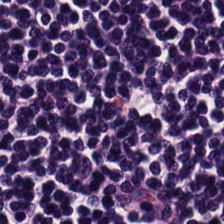The tissue here is lymphocytes.
